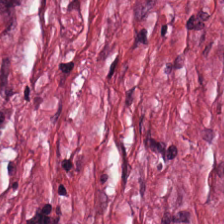Brightfield microscopy; hematoxylin-and-eosin stained section.
Histology → tumor-associated stroma.
